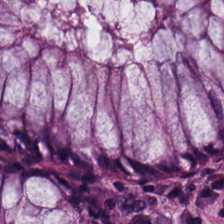H&E patch showing benign colonic mucosa.
